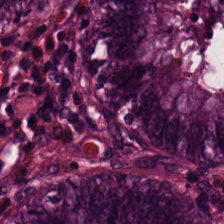Q: What tissue type is shown here?
A: It is normal colonic mucosa.
